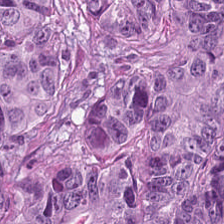H&E stain — Finding → colorectal adenocarcinoma.
